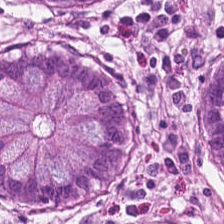H&E-stained tissue section; 20× equivalent magnification; 224×224 px patch. {"tissue_type": "normal colonic mucosa"}
